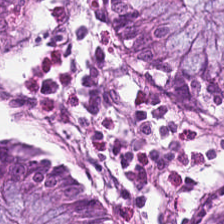Stain: hematoxylin and eosin.
Tissue type: normal colonic mucosa.
